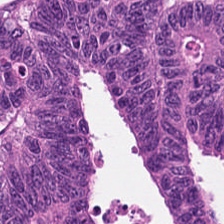Hematoxylin-and-eosin stained section. Malignant epithelium.
